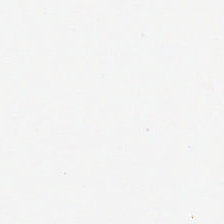224×224 pixel tile · H&E-stained tissue section.
Q: What does this patch show?
A: It is background (no tissue).
